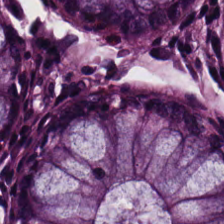Hematoxylin and eosin. Formalin-fixed paraffin-embedded section.
Q: What tissue is shown?
A: It is normal colonic mucosa.
